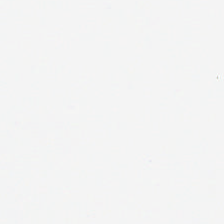H&E stain; 224×224 px tile. Field content — background (no tissue).
